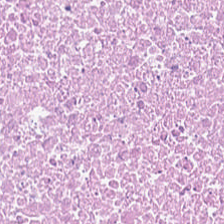H&E-stained tissue section.
Histology → cellular debris.
